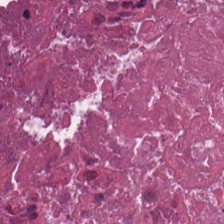H&E stain.
Necrotic debris.
